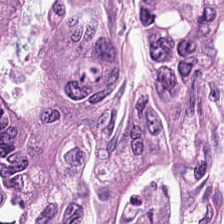Stain: hematoxylin-and-eosin stained section.
Predominant tissue: colorectal adenocarcinoma epithelium.
